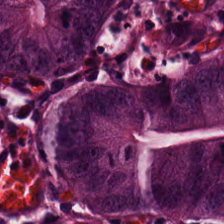Stain: H&E.
Tissue: colorectal adenocarcinoma epithelium.
